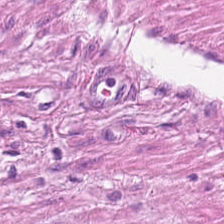Hematoxylin-and-eosin section: smooth muscle.
